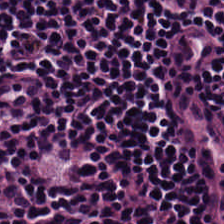Lymphocytes.
